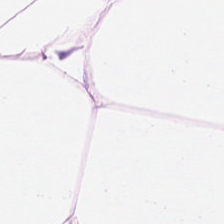Hematoxylin-and-eosin stained section — This patch shows adipose tissue.
